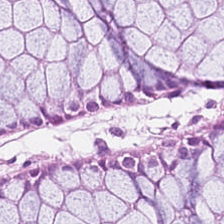224×224 px tile; FFPE tissue section; hematoxylin and eosin. Impression — normal colon mucosa.
